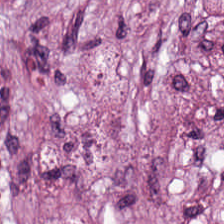H&E stain.
Q: What is the predominant tissue type?
A: It is tumor-associated stroma.
